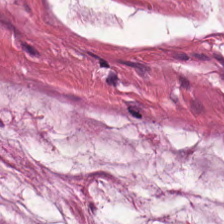Stain: hematoxylin-and-eosin stained section.
Tissue: mucin.
